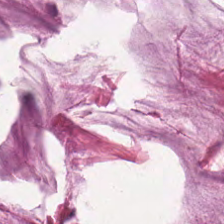Hematoxylin and eosin.
Q: Identify the tissue.
A: It is mucin.
